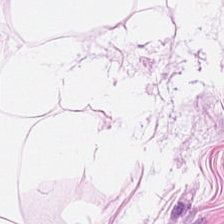0.5 microns per pixel · H&E stain. Q: What is the predominant tissue type?
A: This is fat tissue.
